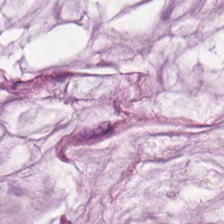Hematoxylin and eosin — Impression — mucus.
